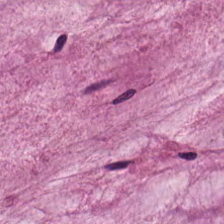Brightfield · hematoxylin and eosin · formalin-fixed paraffin-embedded section. This field is extracellular mucin.
